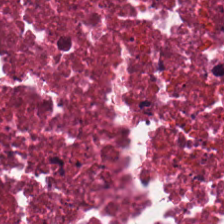Hematoxylin and eosin.
Predominant tissue = cellular debris.
